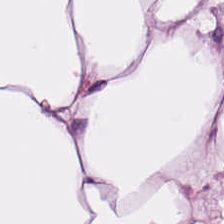Stain: hematoxylin and eosin.
Preparation: FFPE.
Classification: adipose.
